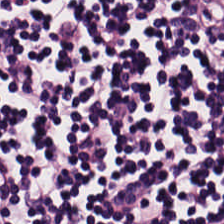H&E patch showing lymphocytic infiltrate.
